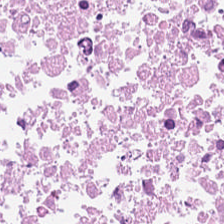Hematoxylin-and-eosin stained section. Whole-slide-image patch.
The tissue here is debris.
